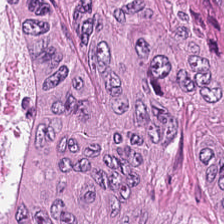Hematoxylin-and-eosin stained section; brightfield microscopy — Q: What is shown in this field?
A: This is colorectal adenocarcinoma.
